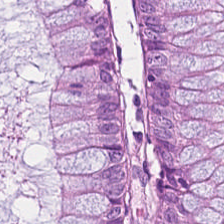224×224 pixel tile; H&E-stained tissue section; 0.5 microns per pixel — This patch shows normal colonic mucosa.
